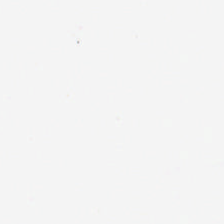Stain: H&E stain.
Classification: empty background.
